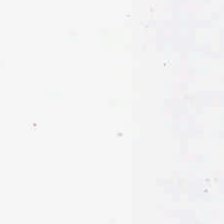Classification — empty background.
